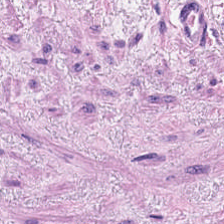Histology → muscularis.
